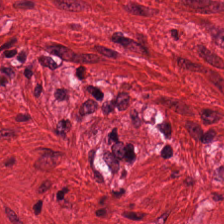FFPE tissue section · brightfield · H&E. Showing smooth-muscle tissue.
